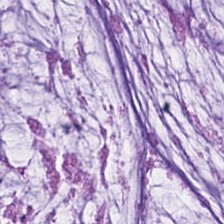Predominant tissue — mucus.
